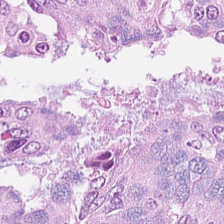Classification: malignant epithelium.
